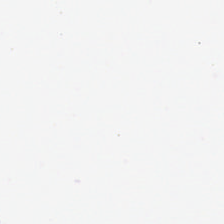{"content": "background"}
